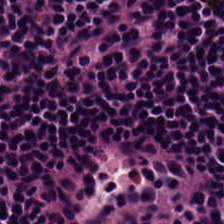This patch shows lymphocyte aggregate.
